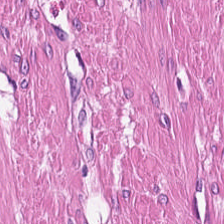Stain: hematoxylin and eosin.
Tissue type: muscularis.
